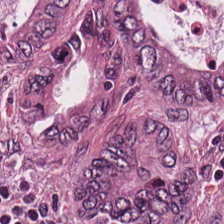Stain: H&E.
Resolution: 20× equivalent magnification.
Preparation: formalin-fixed paraffin-embedded section.
Tissue class: malignant epithelium.
